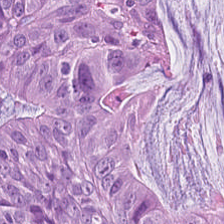FFPE. H&E-stained tissue section. Q: What is the predominant tissue type?
A: The field shows adenocarcinoma.
